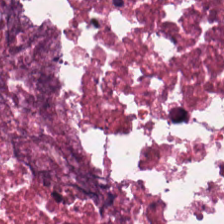Tissue class: cellular debris.
